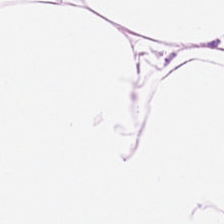Formalin-fixed paraffin-embedded section; H&E-stained tissue section; 0.5 microns per pixel.
Showing adipose tissue.
